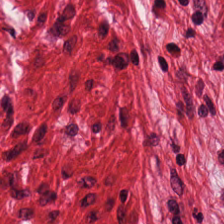H&E stain — The tissue here is muscularis.
